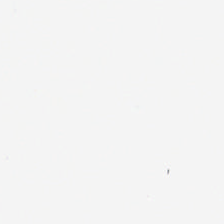H&E-stained tissue section. 0.5 µm per pixel. {"content": "background"}
